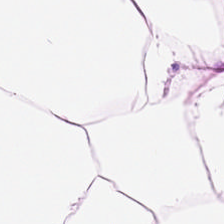Hematoxylin-and-eosin stained section — This patch shows adipose tissue.
